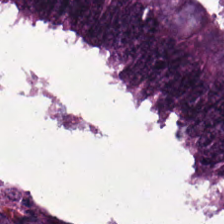Hematoxylin and eosin.
This field is colorectal adenocarcinoma.
